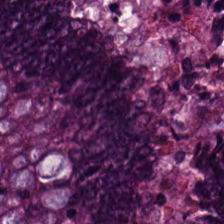H&E-stained tissue section — Showing malignant epithelium.
